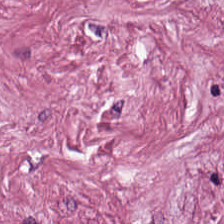Predominantly cancer-associated stroma.
